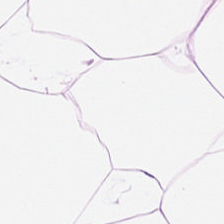Finding — adipose tissue.
